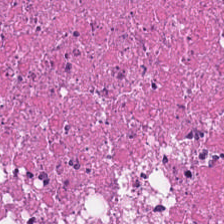Showing necrotic debris.
